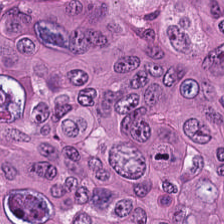H&E stain — Showing colorectal adenocarcinoma epithelium.
